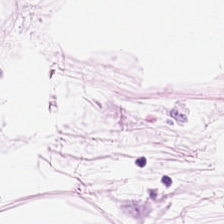Tissue class = fat tissue.
